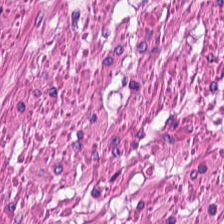Hematoxylin and eosin · FFPE · 224×224 px patch.
Q: What tissue type is shown here?
A: This is smooth-muscle tissue.
